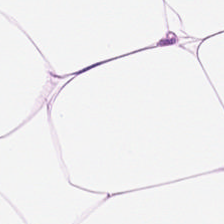H&E; FFPE tissue section; 20× equivalent magnification. Tissue type = adipose tissue.
